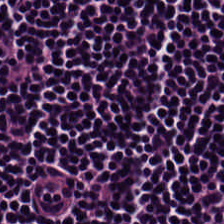H&E-stained tissue section · brightfield.
The predominant tissue is lymphocyte aggregate.
